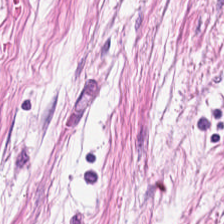Hematoxylin and eosin — Tumor-associated stroma.
